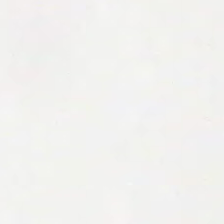20× equivalent magnification. FFPE tissue section. H&E-stained tissue section. No tissue present; background only.
